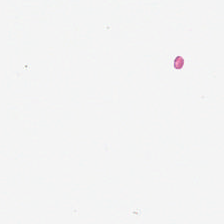Stain: hematoxylin-and-eosin stained section.
Content: empty background.
